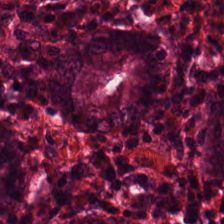Stain: H&E-stained tissue section.
Tissue: normal colon mucosa.
